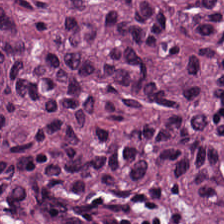H&E stain.
The predominant tissue is malignant epithelium.
